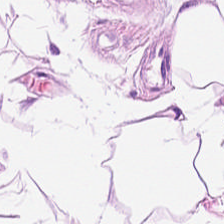0.5 microns per pixel · H&E-stained tissue section.
{"tissue_type": "adipocytes"}
